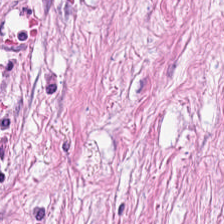The predominant tissue is tumor-associated stroma.
